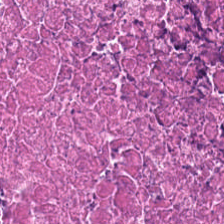H&E-stained tissue section.
Showing debris.
